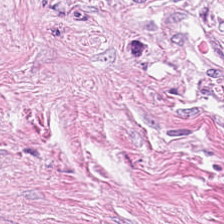Tissue: desmoplastic stroma.
